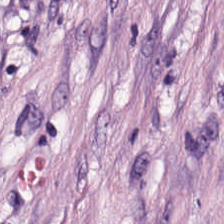H&E; whole-slide-image patch; 20× equivalent magnification — Q: What is shown here?
A: This is desmoplastic stroma.
